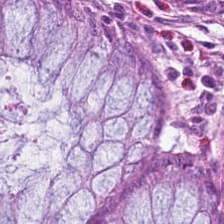H&E. Showing non-neoplastic colon mucosa.
